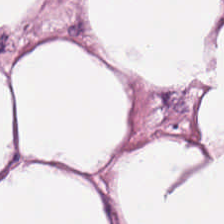H&E stain · formalin-fixed paraffin-embedded section. {"tissue_type": "adipose tissue"}
